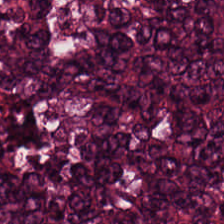H&E; WSI patch. Predominant tissue: malignant epithelium.
